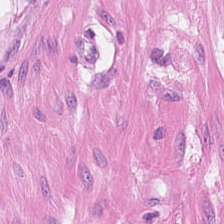Hematoxylin and eosin.
Q: Identify the tissue.
A: It is smooth-muscle tissue.
